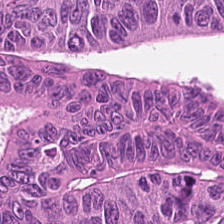Hematoxylin-and-eosin stained section. Tissue: adenocarcinoma.
